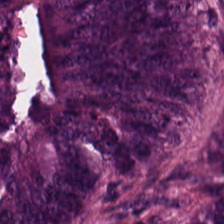H&E patch showing tumor epithelium.
